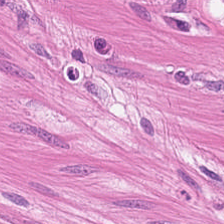FFPE tissue section; H&E; 20× equivalent magnification.
Q: What tissue is shown?
A: The field shows muscularis.
